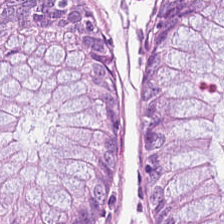Hematoxylin-and-eosin stained section; whole-slide-image patch; formalin-fixed paraffin-embedded section.
Q: What is the predominant tissue type?
A: This is non-neoplastic colon mucosa.
